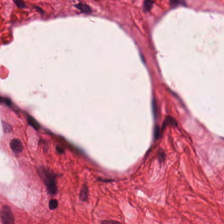H&E — muscularis.
